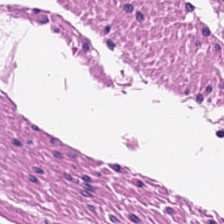Classification — smooth muscle.
